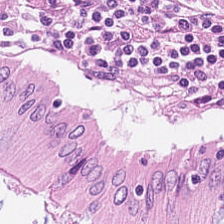H&E-stained tissue section. FFPE tissue section — {"tissue_type": "normal colonic mucosa"}
